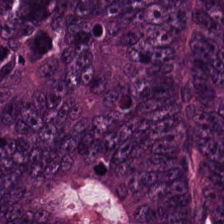H&E stain — The tissue here is colorectal adenocarcinoma epithelium.
